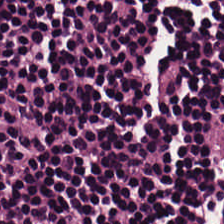Q: What is the predominant tissue type?
A: Lymphocyte aggregate.
